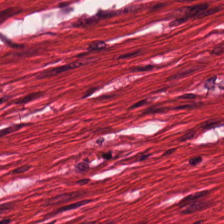H&E-stained tissue section — Smooth-muscle tissue.
